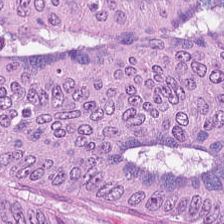The tissue is colorectal adenocarcinoma.
